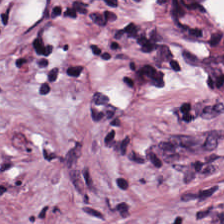224×224 pixel tile · WSI patch · H&E — Q: What tissue type is shown here?
A: This is tumor-associated stroma.
